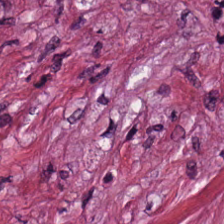0.5 µm per pixel · H&E-stained tissue section · whole-slide-image patch. Finding — tumor stroma.
